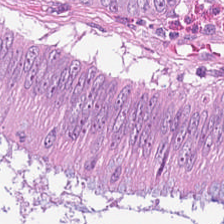H&E stain — Classification — malignant epithelium.
